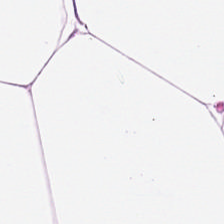H&E stain — Finding — adipocytes.
